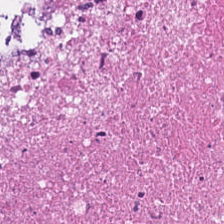Stain: H&E.
Resolution: 0.5 µm/px.
Preparation: FFPE tissue section.
Tissue class: debris.
